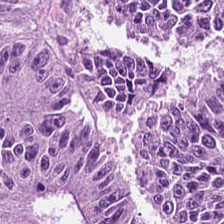Formalin-fixed paraffin-embedded section; H&E stain — Showing colorectal adenocarcinoma.
